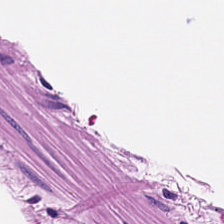H&E; FFPE.
Q: What tissue type is shown here?
A: The field shows muscularis.
